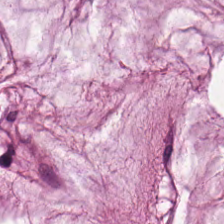Brightfield. Hematoxylin-and-eosin stained section. This patch shows extracellular mucin.
